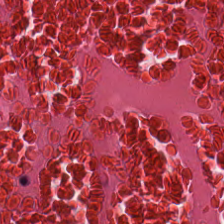H&E-stained tissue section. 0.5 microns per pixel — The predominant tissue is debris.
